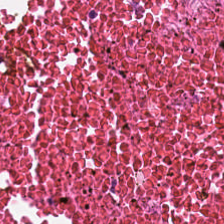Q: What type of tissue is this?
A: It is necrotic debris.
